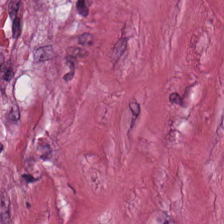0.5 µm per pixel · H&E stain — The tissue here is cancer-associated stroma.
